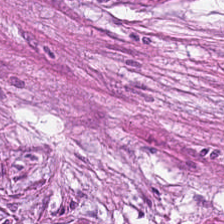H&E — Tissue type: tumor stroma.
